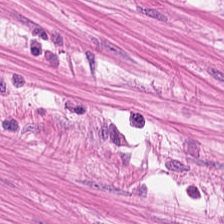0.5 µm per pixel; formalin-fixed paraffin-embedded section; hematoxylin and eosin.
{"tissue_type": "muscularis"}
